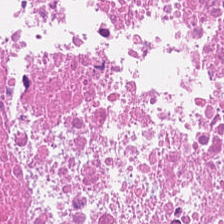The predominant tissue is cellular debris.
